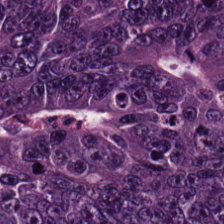H&E — This patch shows malignant epithelium.
